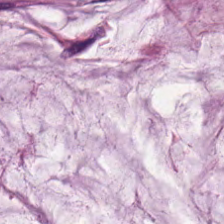H&E stain.
Tissue type: extracellular mucin.
